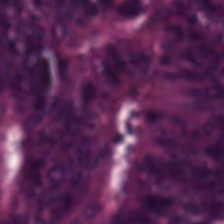FFPE tissue section; H&E-stained tissue section — Predominant tissue: colorectal adenocarcinoma epithelium.
